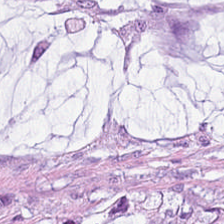WSI patch; FFPE; H&E stain. Predominant tissue: mucus.
